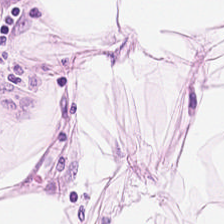Whole-slide-image patch · hematoxylin-and-eosin stained section. This field is adipose tissue.
